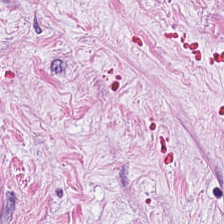H&E. This field is cancer-associated stroma.
